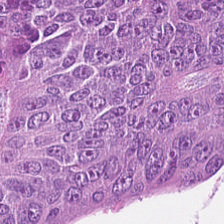Hematoxylin and eosin; WSI patch; 224×224 px tile — Predominant tissue: adenocarcinoma.
